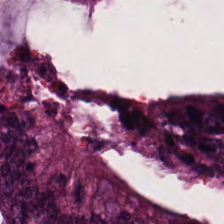224×224 px tile. H&E-stained tissue section. 0.5 microns per pixel. The tissue is colorectal adenocarcinoma.
